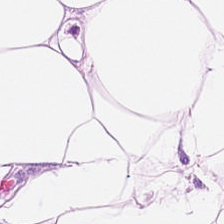224×224 px tile; brightfield; hematoxylin and eosin. Impression — fat tissue.
